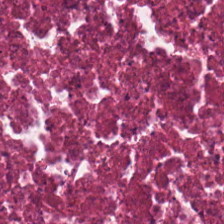H&E-stained tissue section.
Showing debris.
